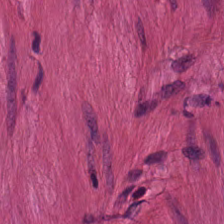Stain: hematoxylin and eosin.
Tissue: smooth-muscle tissue.
